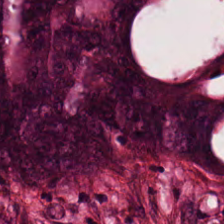Hematoxylin-and-eosin stained section. Q: Identify the tissue.
A: It is malignant epithelium.
